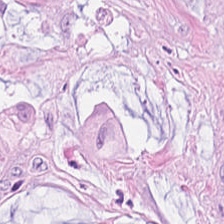Hematoxylin-and-eosin stained section — Finding — adenocarcinoma.
